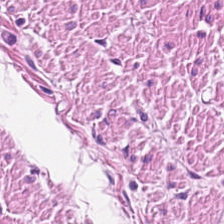WSI patch · H&E-stained tissue section.
The classification is smooth muscle.
